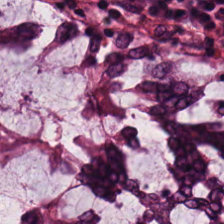WSI patch. H&E. {"tissue_type": "normal colonic mucosa"}
